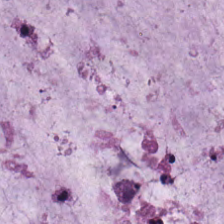H&E stain — Impression — extracellular mucin.
